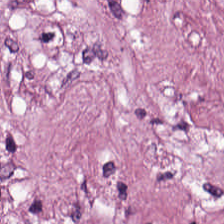Hematoxylin-and-eosin stained section. Q: What type of tissue is this?
A: Desmoplastic stroma.
